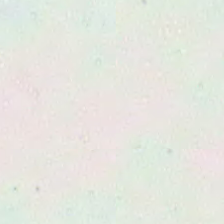H&E — Q: What is shown in this field?
A: Background.
